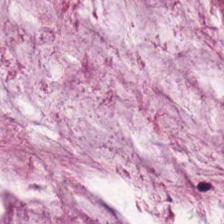Hematoxylin and eosin. Predominantly extracellular mucin.
